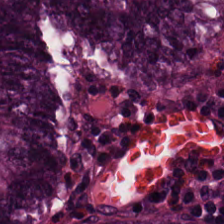Brightfield microscopy. Hematoxylin and eosin. Histology — normal colonic mucosa.
